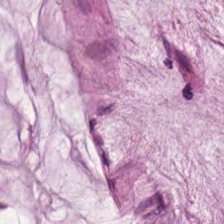H&E — Impression → mucus.
